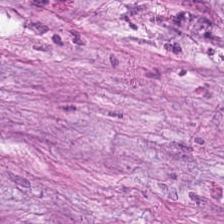H&E. Q: What type of tissue is this?
A: It is desmoplastic stroma.
